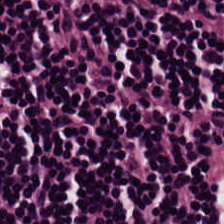Impression → lymphocytes.
